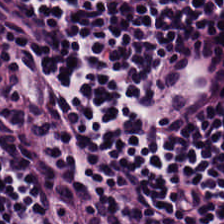FFPE tissue section · hematoxylin and eosin. {"tissue_type": "lymphocytes"}
